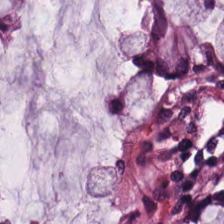H&E stain. Non-neoplastic colon mucosa.
